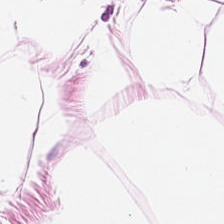Showing fat tissue.
